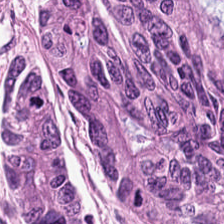Stain: H&E-stained tissue section.
Tissue type: adenocarcinoma.
